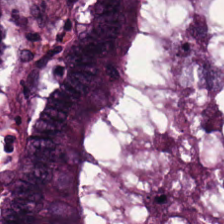{"tissue_type": "colorectal adenocarcinoma epithelium"}
